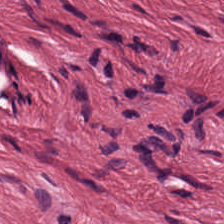Finding — tumor stroma.
